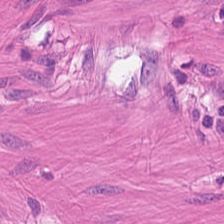Whole-slide-image patch. 224×224 px tile. H&E — Tissue: muscularis.
